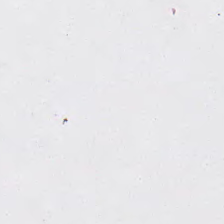FFPE; hematoxylin-and-eosin stained section. Classification: empty background.
